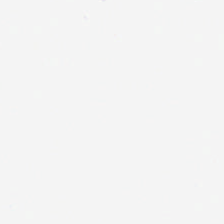H&E-stained tissue section; 224×224 px patch.
Q: What is shown in this field?
A: It is empty background.
